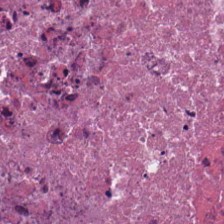H&E-stained tissue section showing debris.
